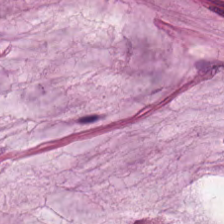Extracellular mucin.
